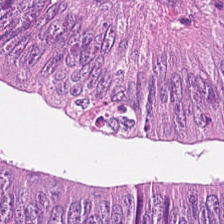Hematoxylin and eosin — Histology → colorectal adenocarcinoma epithelium.
